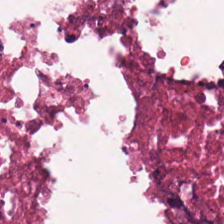224×224 px tile; hematoxylin-and-eosin stained section.
This field is necrotic debris.
